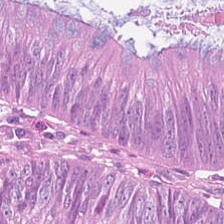Whole-slide-image patch · FFPE tissue section · H&E-stained tissue section.
Colorectal adenocarcinoma.
